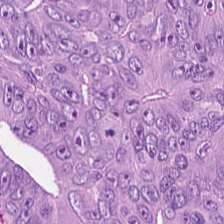H&E — Q: What is shown here?
A: The field shows malignant epithelium.
